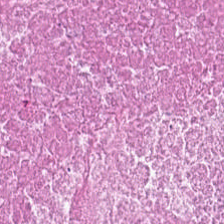FFPE. H&E-stained tissue section — Debris.
